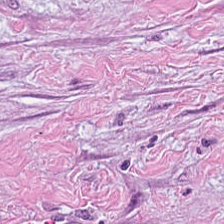Brightfield microscopy · hematoxylin and eosin — Showing tumor-associated stroma.
